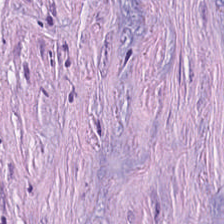H&E stain. Predominantly desmoplastic stroma.
